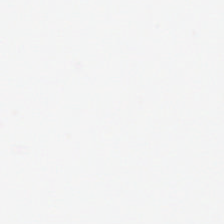Hematoxylin and eosin · brightfield microscopy. Q: What does this patch show?
A: No tissue.
